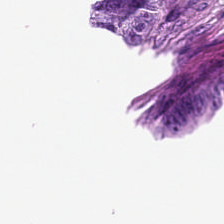Stain: H&E-stained tissue section.
Tile size: 224×224 pixel tile.
Acquisition: WSI patch.
Field content: no tissue.
